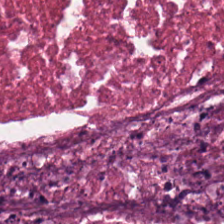0.5 microns per pixel · H&E — Predominant tissue: necrotic debris.
